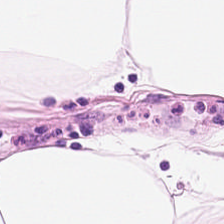224×224 px patch; H&E stain — This patch shows fat tissue.
